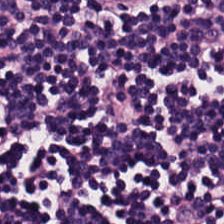This patch shows lymphocyte aggregate.
